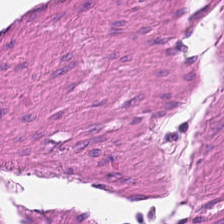H&E — Q: What is shown in this field?
A: This is muscularis.
